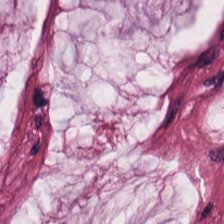Hematoxylin and eosin. Showing extracellular mucin.
